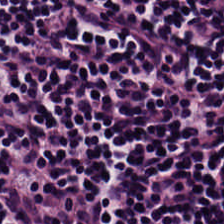Hematoxylin and eosin.
The tissue here is lymphocytic infiltrate.
